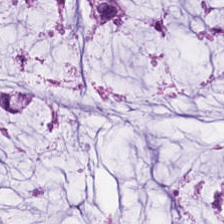Hematoxylin and eosin — The tissue here is mucus.
